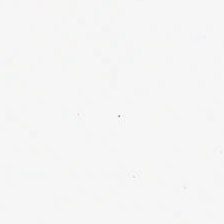Hematoxylin and eosin — Q: What is shown here?
A: This is no tissue.
